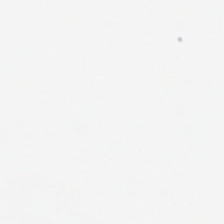Q: What is shown here?
A: The field shows empty background.
